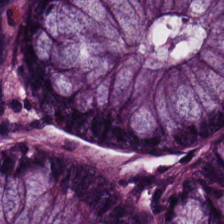H&E.
{"tissue_type": "normal colon mucosa"}
